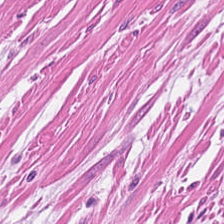H&E.
Tissue type — muscularis.
